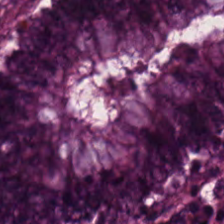{"tissue_type": "non-neoplastic colon mucosa"}
